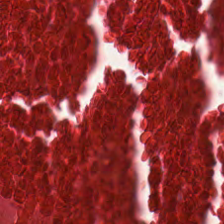Stain: H&E.
Classification: cellular debris.
